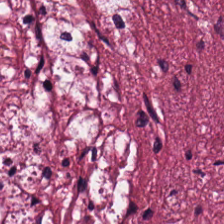224×224 pixel tile · H&E-stained tissue section.
Tissue class — tumor stroma.
